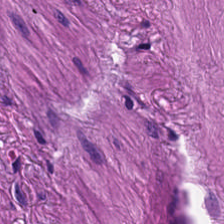0.5 µm/px · H&E stain — Impression → smooth-muscle tissue.
